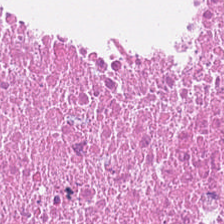Hematoxylin and eosin · whole-slide-image patch · 20× equivalent magnification — Classification: debris.
